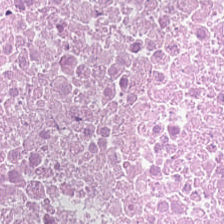0.5 microns per pixel. Hematoxylin-and-eosin stained section — Q: What is the predominant tissue type?
A: The field shows cellular debris.
